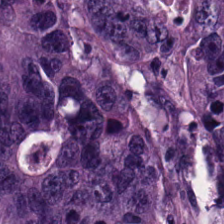H&E stain. Malignant epithelium.
